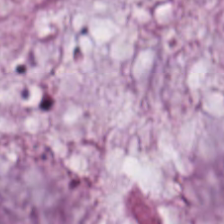Hematoxylin and eosin.
The predominant tissue is extracellular mucin.
